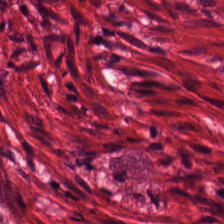H&E-stained section; the field shows smooth muscle.
